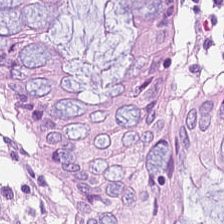Hematoxylin-and-eosin stained section — Tissue class = normal colon mucosa.
